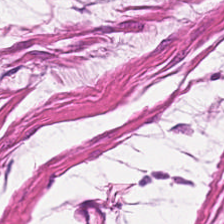H&E stain · 224×224 pixel tile · 20× equivalent magnification. Classification = smooth-muscle tissue.
